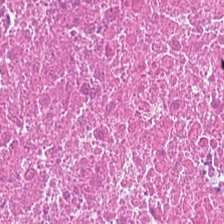H&E — Q: What tissue is shown?
A: Necrotic debris.
